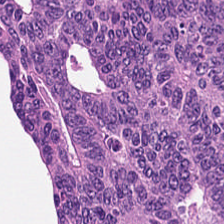Hematoxylin and eosin — Histology → malignant epithelium.
